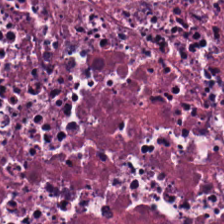H&E-stained tissue section; formalin-fixed paraffin-embedded section.
Q: What is shown in this field?
A: Necrotic debris.
